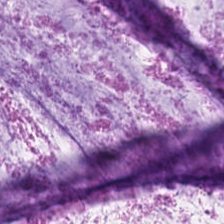0.5 microns per pixel; FFPE; H&E.
Q: What type of tissue is this?
A: This is mucus.
